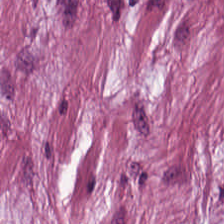Hematoxylin-and-eosin stained section · 224×224 pixel tile. The predominant tissue is desmoplastic stroma.
